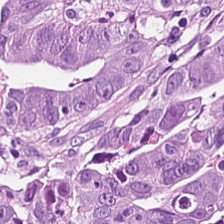H&E — Classification — tumor epithelium.
